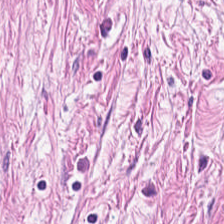20× equivalent magnification · H&E stain — {"tissue_type": "cancer-associated stroma"}
